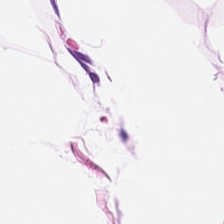FFPE tissue section; 20× equivalent magnification; H&E-stained tissue section — Impression → adipose tissue.
